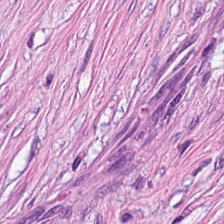H&E-stained tissue section. Predominant tissue = tumor stroma.
